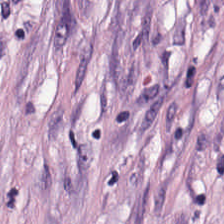H&E. Tumor stroma.
